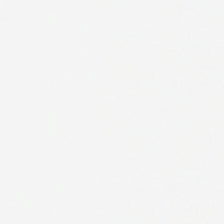Q: What does this patch show?
A: The field shows background (no tissue).
